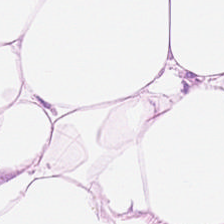Showing adipocytes.
